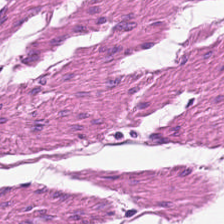H&E. The tissue here is smooth muscle.
